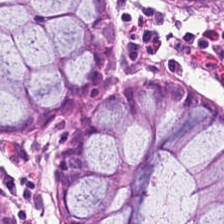H&E stain.
Tissue = benign colonic mucosa.
